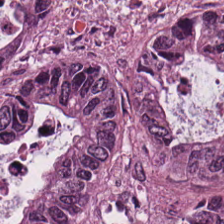H&E stain; brightfield microscopy; 224×224 px tile. Finding — colorectal adenocarcinoma.
